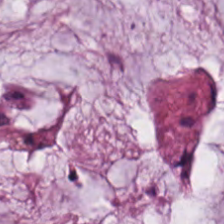H&E stain — Histology — mucus.
